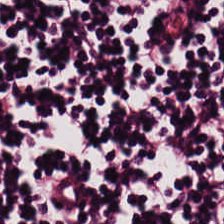224×224 pixel tile; H&E.
The tissue class is lymphoid infiltrate.
